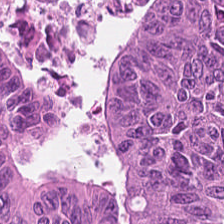Hematoxylin-and-eosin stained section. {"tissue_type": "adenocarcinoma"}
